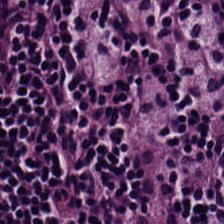The classification is lymphoid infiltrate.
